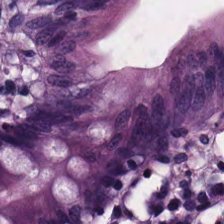H&E.
Q: Classify this patch.
A: The field shows normal colon mucosa.
